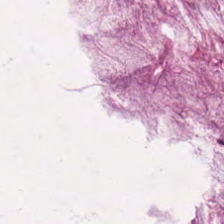H&E-stained tissue section — The tissue is mucin.
